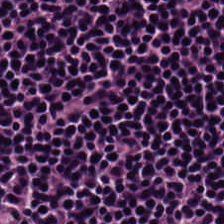FFPE tissue section. Hematoxylin and eosin. Q: What is shown in this field?
A: This is lymphocytes.
